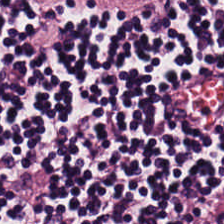H&E stain; brightfield. This patch shows lymphocytic infiltrate.
